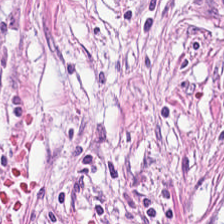H&E stain. Showing desmoplastic stroma.
